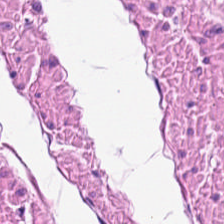H&E stain.
This patch shows smooth-muscle tissue.
